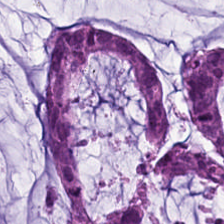0.5 µm/px; 224×224 pixel tile; H&E-stained tissue section.
The predominant tissue is extracellular mucin.
